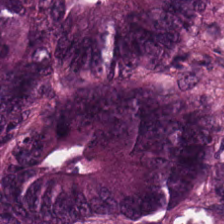Stain: H&E.
Classification: tumor epithelium.
